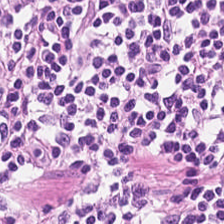Q: What type of tissue is this?
A: This is lymphocytic infiltrate.
